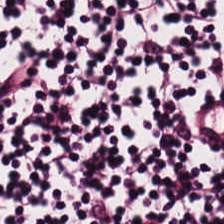H&E stain.
This field is lymphoid infiltrate.
